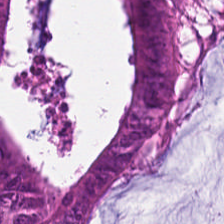H&E-stained tissue section — This field is tumor epithelium.
